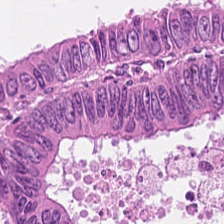Hematoxylin and eosin. Showing colorectal adenocarcinoma epithelium.
